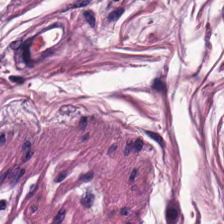Hematoxylin and eosin. 0.5 µm per pixel.
{"tissue_type": "smooth-muscle tissue"}
